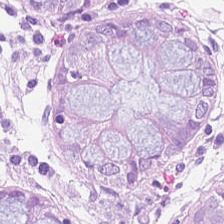H&E. Impression — normal colonic mucosa.
